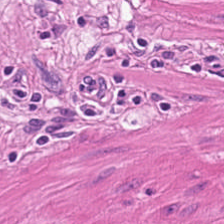H&E stain — Classification: smooth muscle.
